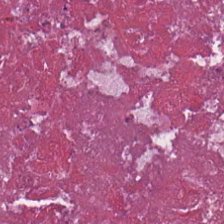Hematoxylin-and-eosin stained section.
This field is debris.
